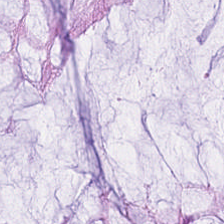FFPE. H&E stain. Brightfield — Showing non-neoplastic colon mucosa.
